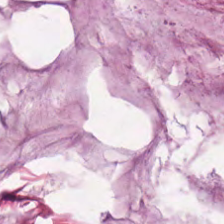H&E stain — Predominantly extracellular mucin.
